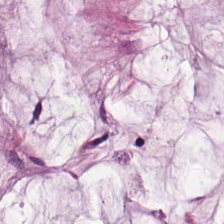H&E.
{"tissue_type": "mucus"}
